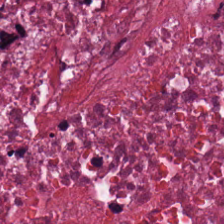Tissue: necrotic debris.
